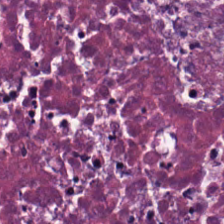Stain: hematoxylin and eosin.
Classification: debris.
